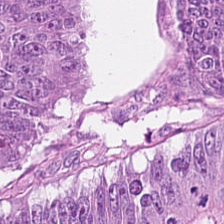Showing tumor epithelium.
